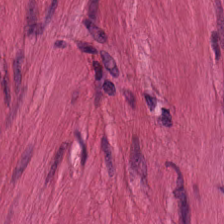This field is muscularis.
